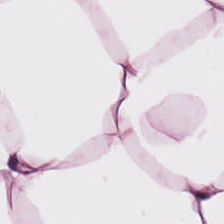FFPE. H&E-stained tissue section. Brightfield — Classification — adipose tissue.
